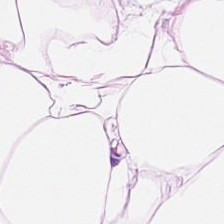Tissue class — adipocytes.
